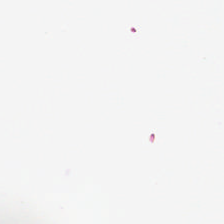H&E stain.
The field content is background.
